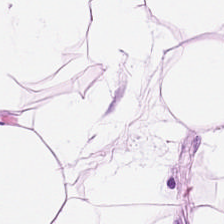H&E stain — Finding — adipocytes.
